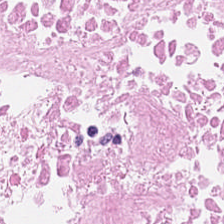Stain: hematoxylin and eosin.
Tissue: necrotic debris.
